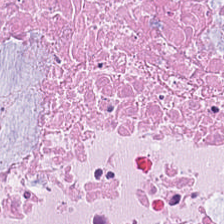Stain: hematoxylin and eosin.
Tissue: cellular debris.
